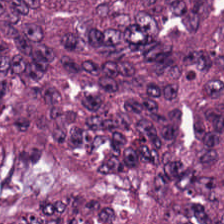H&E stain.
Showing adenocarcinoma.
